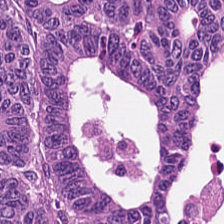H&E stain.
Q: What tissue type is shown here?
A: The field shows adenocarcinoma.
